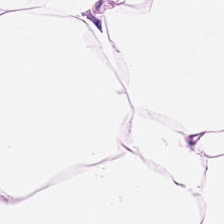Hematoxylin-and-eosin stained section. This patch shows adipocytes.
